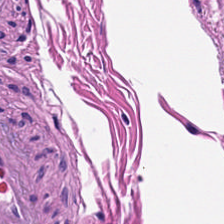H&E-stained tissue section. Classification: smooth-muscle tissue.
